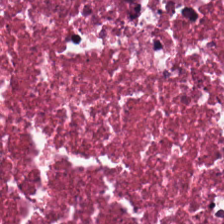Formalin-fixed paraffin-embedded section · H&E.
Predominant tissue — debris.
